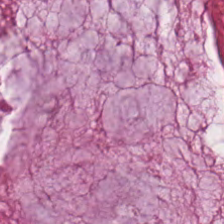H&E stain.
Q: What is shown here?
A: It is extracellular mucin.
